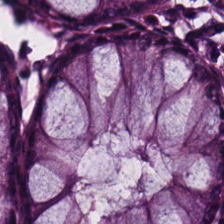Hematoxylin-and-eosin stained section; brightfield microscopy; FFPE — Predominantly normal colon mucosa.
